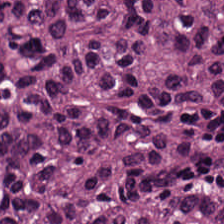Predominantly adenocarcinoma.
